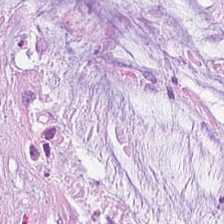H&E-stained tissue section. Classification: extracellular mucin.
